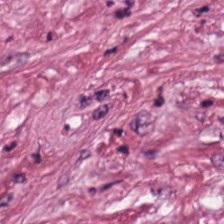Hematoxylin-and-eosin stained section; FFPE tissue section — Tissue class — tumor stroma.
